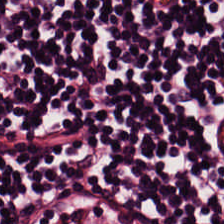Stain: hematoxylin-and-eosin stained section.
Acquisition: brightfield.
Predominant tissue: lymphocytes.
